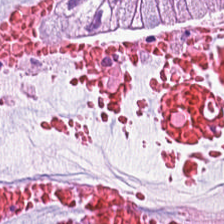Whole-slide-image patch · H&E-stained tissue section. {"tissue_type": "mucus"}
